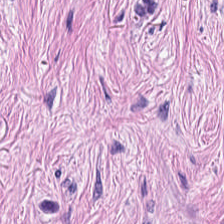H&E; whole-slide-image patch. Cancer-associated stroma.
